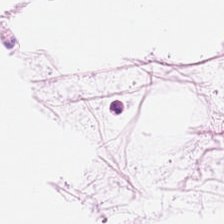H&E-stained tissue section · 224×224 px patch.
Predominantly adipocytes.
